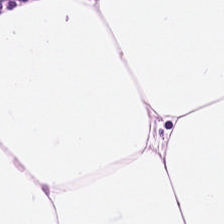224×224 pixel tile; 0.5 µm/px; H&E.
Q: What does this patch show?
A: It is adipocytes.
